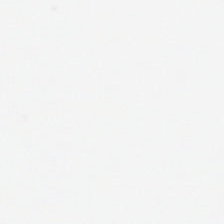H&E · 224×224 px patch.
This patch shows background.
